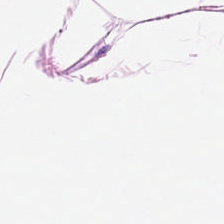Hematoxylin-and-eosin stained section — This field is adipose tissue.
